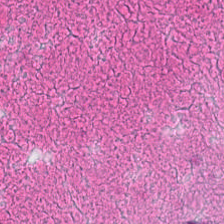Hematoxylin and eosin. Histology → debris.
